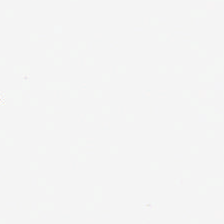H&E-stained tissue section.
This field is background (no tissue).
